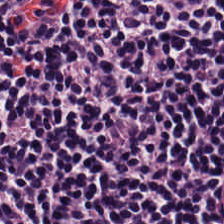Hematoxylin and eosin; WSI patch. Predominantly lymphocytic infiltrate.
